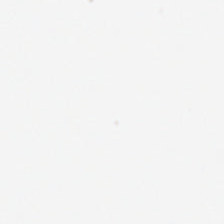Q: Classify this patch.
A: The field shows empty background.
